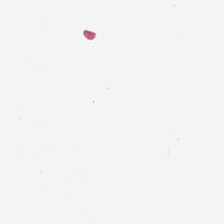H&E-stained tissue section · 224×224 pixel tile — Background (no tissue).
